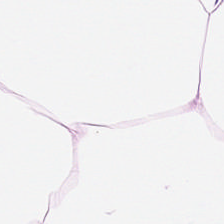224×224 px tile. Whole-slide-image patch. H&E.
Histology — adipose tissue.
